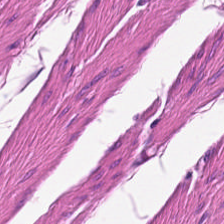Stain: hematoxylin and eosin.
Preparation: FFPE tissue section.
Classification: muscularis.
